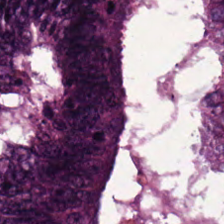0.5 µm per pixel. H&E. Colorectal adenocarcinoma epithelium.
